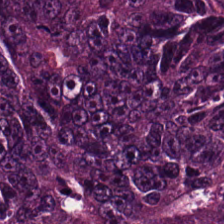Stain: H&E-stained tissue section.
Tissue type: colorectal adenocarcinoma epithelium.
